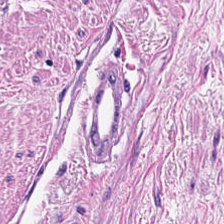H&E-stained tissue section · brightfield · 0.5 microns per pixel.
This patch shows smooth-muscle tissue.
